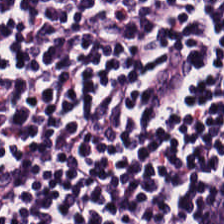FFPE tissue section. 0.5 µm per pixel. Hematoxylin-and-eosin stained section. The tissue here is lymphoid infiltrate.
